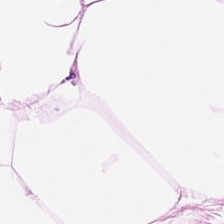Q: What tissue type is shown here?
A: This is fat tissue.
